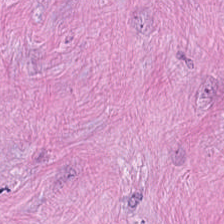Stain: H&E.
Classification: cancer-associated stroma.
